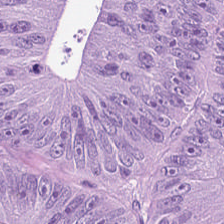Hematoxylin and eosin; 224×224 px tile; 0.5 microns per pixel. This patch shows tumor epithelium.
